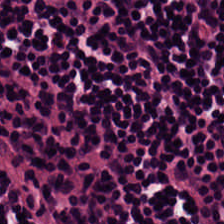H&E stain. 0.5 µm per pixel. Impression — lymphocytic infiltrate.
